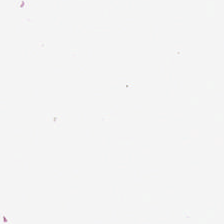H&E-stained tissue section — Empty field — background (no tissue).
